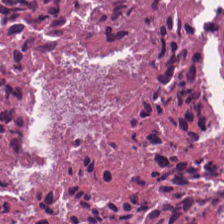224×224 px patch · H&E · whole-slide-image patch. Predominantly debris.
